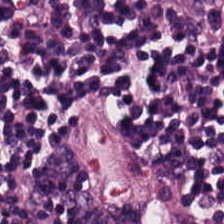FFPE; H&E stain; brightfield microscopy. Lymphocytic infiltrate.
